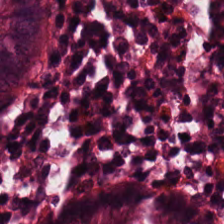Stain: H&E-stained tissue section.
Preparation: FFPE.
Acquisition: brightfield.
Tissue type: non-neoplastic colon mucosa.
